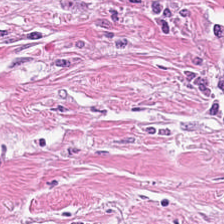Hematoxylin and eosin.
The classification is tumor-associated stroma.
